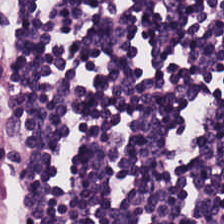H&E-stained tissue section · 224×224 pixel tile. This patch shows lymphoid infiltrate.
